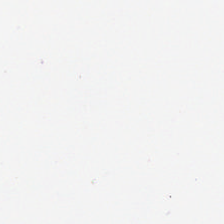H&E-stained tissue section. Q: What is shown in this field?
A: This is background.
